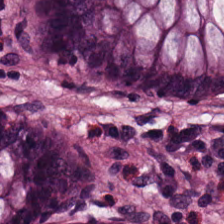Brightfield microscopy · hematoxylin and eosin. Tissue class — normal colon mucosa.
